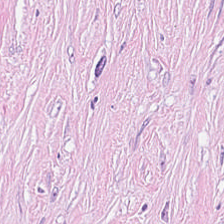Stain: H&E.
Predominant tissue: tumor stroma.
